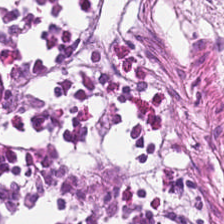Stain: H&E stain.
Tissue: non-neoplastic colon mucosa.
